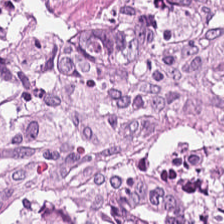H&E stain. The tissue here is desmoplastic stroma.
